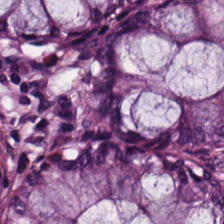H&E; whole-slide-image patch; 224×224 px patch — Non-neoplastic colon mucosa.
